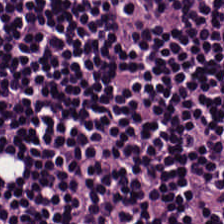H&E stain — Q: What is shown here?
A: The field shows lymphocytic infiltrate.
